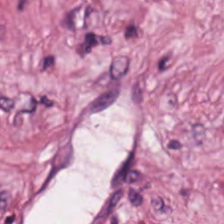This field is desmoplastic stroma.
